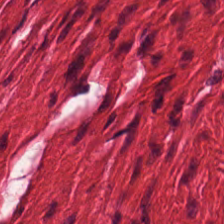H&E stain.
Histology — smooth-muscle tissue.
